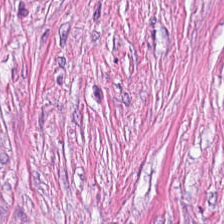Hematoxylin and eosin. 224×224 px tile. 20× equivalent magnification — The tissue here is cancer-associated stroma.
